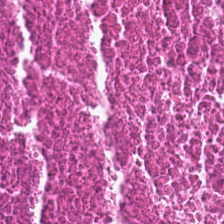H&E. Predominantly debris.
